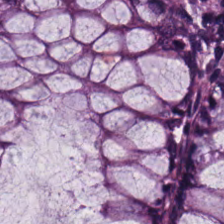Finding — normal colonic mucosa.
